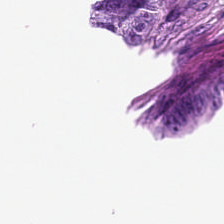H&E-stained tissue section.
Empty field — background.
